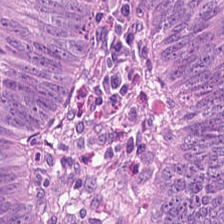H&E stain. Classification: colorectal adenocarcinoma epithelium.
